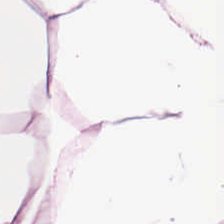Brightfield · hematoxylin-and-eosin stained section · 0.5 microns per pixel — Q: What tissue type is shown here?
A: This is adipose.
